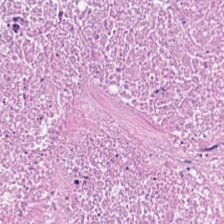Stain: H&E stain.
Resolution: 0.5 µm per pixel.
Predominant tissue: necrotic debris.
